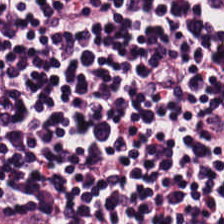0.5 microns per pixel. Hematoxylin-and-eosin stained section. FFPE — The tissue type is lymphoid infiltrate.
